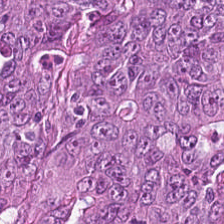Hematoxylin-and-eosin stained section · FFPE — Classification: adenocarcinoma.
